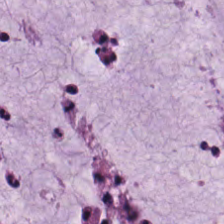The predominant tissue is mucus.
